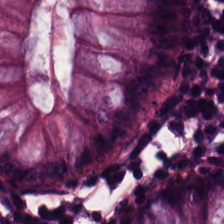H&E-stained tissue section.
Histology — benign colonic mucosa.
